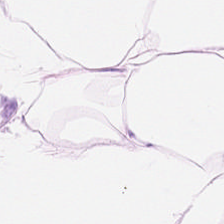FFPE tissue section · hematoxylin-and-eosin stained section.
The predominant tissue is adipose.
